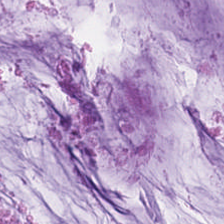224×224 px patch · H&E stain — Showing mucin.
